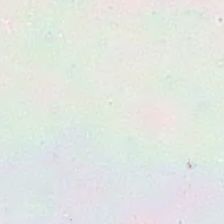H&E stain. Empty field — no tissue.
